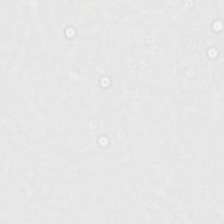Stain: H&E.
Field content: empty background.
